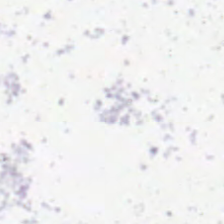Hematoxylin and eosin.
Impression — background (no tissue).
